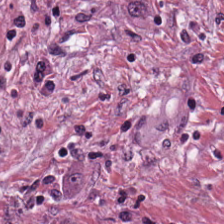H&E-stained tissue section — This patch shows tumor stroma.
